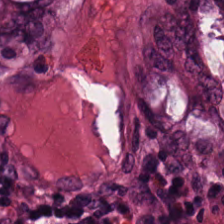Impression — non-neoplastic colon mucosa.
